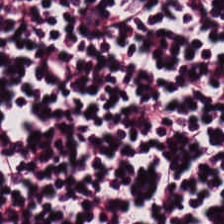Formalin-fixed paraffin-embedded section. Hematoxylin-and-eosin stained section. Brightfield. Predominant tissue = lymphocytes.
